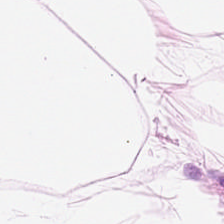This patch shows adipose tissue.
